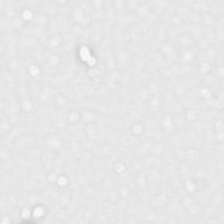H&E stain; FFPE. Background.
